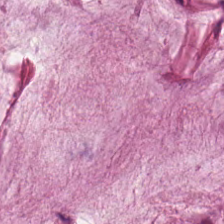Formalin-fixed paraffin-embedded section; H&E stain.
This patch shows extracellular mucin.
